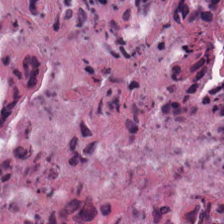H&E stain. Necrotic debris.
